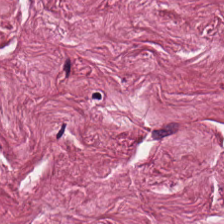Hematoxylin and eosin.
Predominant tissue — cancer-associated stroma.
